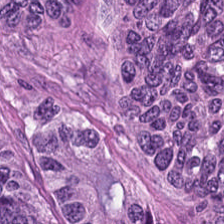FFPE tissue section. H&E.
The tissue here is tumor epithelium.
